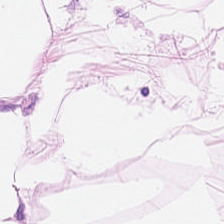H&E stain. 20× equivalent magnification. Tissue class: fat tissue.
